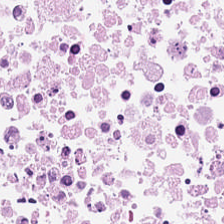Classification = necrotic debris.
